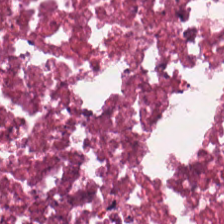Stain: H&E stain.
Tissue: debris.
